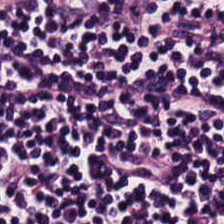H&E. Brightfield microscopy. FFPE — Tissue class: lymphocytes.
